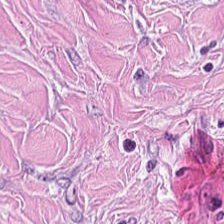Hematoxylin and eosin.
Predominantly tumor-associated stroma.
